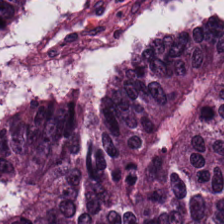H&E stain; 224×224 pixel tile — This field is tumor epithelium.
